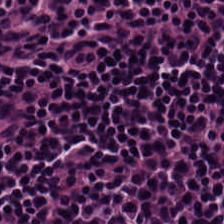H&E.
This patch shows lymphocytes.
